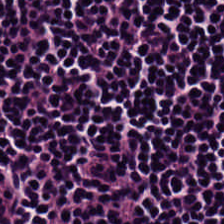H&E-stained tissue section showing lymphocyte aggregate.
